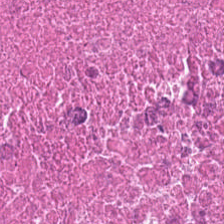Formalin-fixed paraffin-embedded section; H&E-stained tissue section. {"tissue_type": "necrotic debris"}
